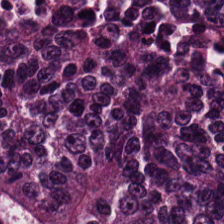Q: Identify the tissue.
A: Tumor epithelium.
